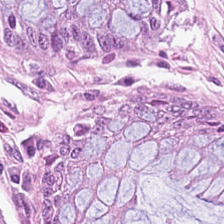H&E-stained tissue section — {"tissue_type": "benign colonic mucosa"}
